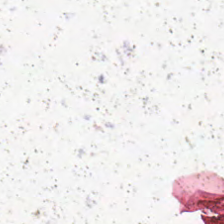Q: Classify this patch.
A: This is no tissue.
